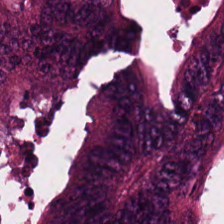H&E — malignant epithelium.
